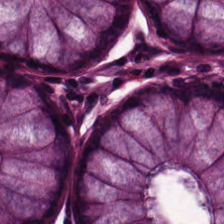H&E stain. 224×224 px patch.
This patch shows non-neoplastic colon mucosa.
